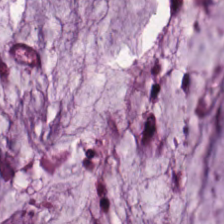H&E patch showing mucus.
